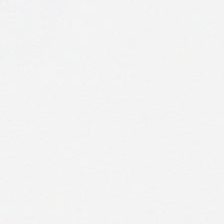H&E. Q: What is shown in this field?
A: This is empty background.
